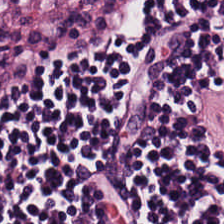H&E stain · formalin-fixed paraffin-embedded section · 0.5 µm/px. Histology → lymphoid infiltrate.
